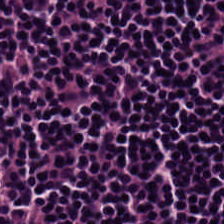H&E-stained tissue section. Impression → lymphocytic infiltrate.
